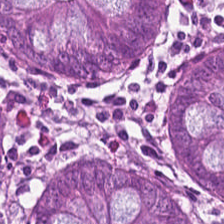H&E-stained tissue section.
The predominant tissue is benign colonic mucosa.
